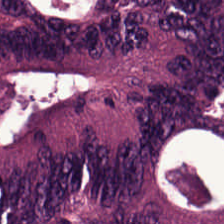H&E-stained tissue section · formalin-fixed paraffin-embedded section. Q: What tissue type is shown here?
A: Tumor epithelium.
